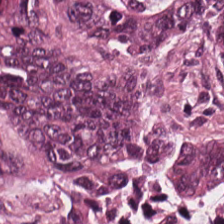Hematoxylin-and-eosin section: adenocarcinoma.
